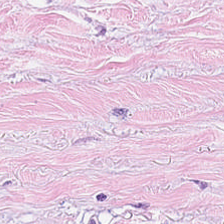This field is tumor-associated stroma.
